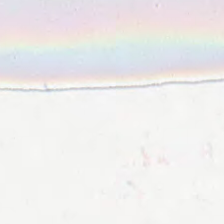H&E stain.
This patch shows background (no tissue).
